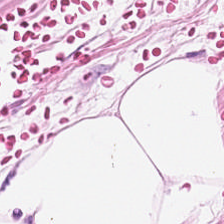Predominantly adipose tissue.
